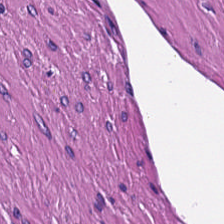H&E — The predominant tissue is muscularis.
